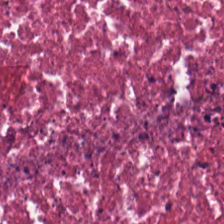H&E stain. The tissue class is cellular debris.
